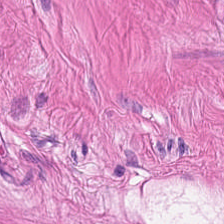0.5 µm/px. H&E. Q: What tissue is shown?
A: Muscularis.
